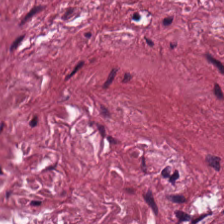Stain: hematoxylin-and-eosin stained section.
Resolution: 20× equivalent magnification.
Tissue type: tumor stroma.
